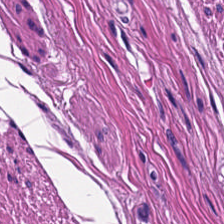Histology → smooth-muscle tissue.
